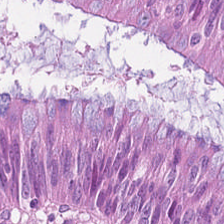Hematoxylin-and-eosin stained section. 0.5 µm/px.
Adenocarcinoma.
